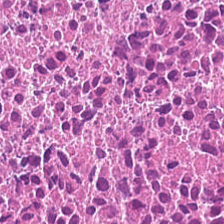Hematoxylin and eosin — Impression — cellular debris.
